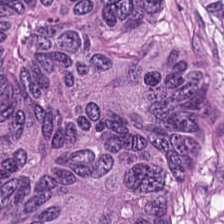Hematoxylin and eosin. Showing colorectal adenocarcinoma.
